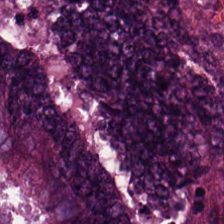Hematoxylin and eosin. {"tissue_type": "tumor epithelium"}
